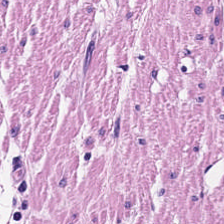Whole-slide-image patch · 224×224 px patch · hematoxylin and eosin. Predominant tissue — muscularis.
